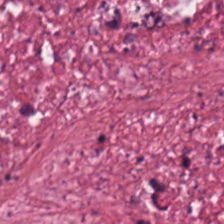H&E-stained tissue section. Q: What does this patch show?
A: The field shows tumor-associated stroma.
